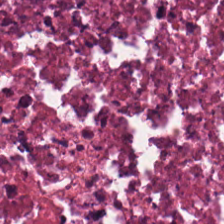H&E stain. Classification: necrotic debris.
